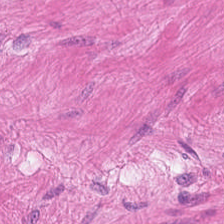224×224 px tile; H&E-stained tissue section; WSI patch. The tissue class is muscularis.
